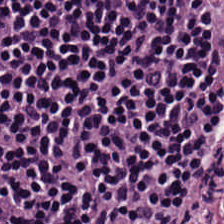Brightfield. H&E-stained tissue section.
Classification = lymphocytes.
